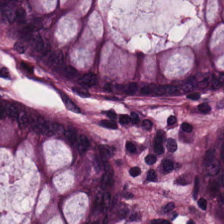Stain: hematoxylin and eosin.
Tissue: normal colonic mucosa.
